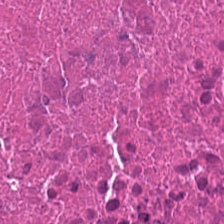FFPE. Hematoxylin and eosin. 224×224 px patch. This patch shows debris.
